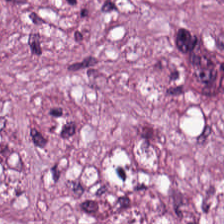Hematoxylin-and-eosin stained section · FFPE tissue section.
Predominantly desmoplastic stroma.
